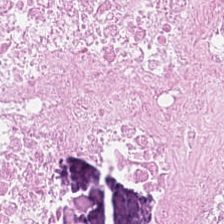Tissue type: necrotic debris.
